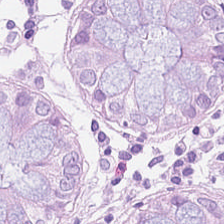H&E. 224×224 px patch — Q: What does this patch show?
A: This is benign colonic mucosa.
